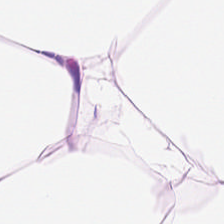H&E. Impression — adipose tissue.
